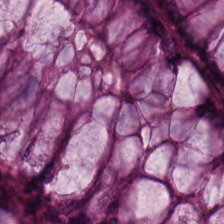FFPE tissue section; H&E-stained tissue section.
Showing normal colon mucosa.
